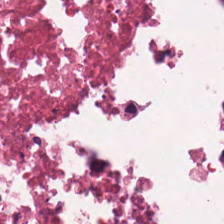Tissue: necrotic debris.
